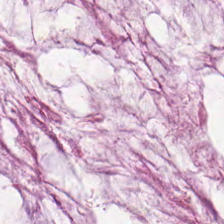Hematoxylin and eosin. Histology → mucin.
